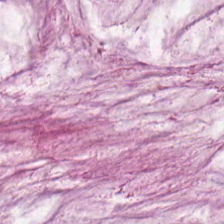Histology → extracellular mucin.
